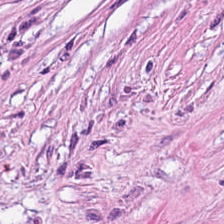H&E stain — Tissue type — cancer-associated stroma.
